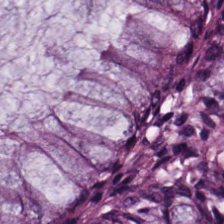Stain: hematoxylin-and-eosin stained section.
Resolution: 0.5 microns per pixel.
Tissue: normal colon mucosa.
